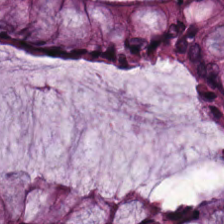Predominant tissue — normal colon mucosa.
